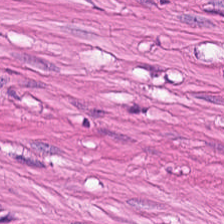{"tissue_type": "smooth muscle"}
